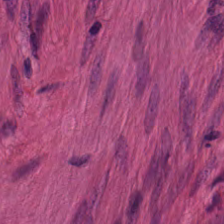Formalin-fixed paraffin-embedded section; H&E stain; 224×224 px tile.
Predominantly smooth-muscle tissue.
